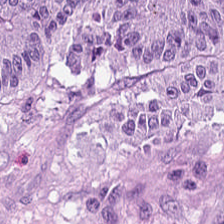0.5 µm/px · hematoxylin and eosin.
Adenocarcinoma.
